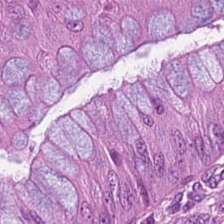H&E — colorectal adenocarcinoma.
